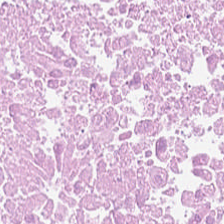Stain: H&E stain.
Tile size: 224×224 pixel tile.
Tissue class: necrotic debris.
